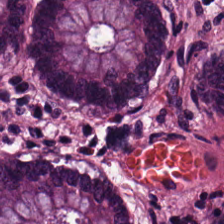Hematoxylin and eosin. {"tissue_type": "normal colonic mucosa"}
